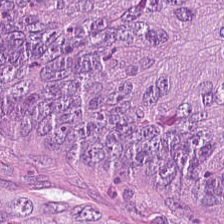Tissue class — colorectal adenocarcinoma epithelium.
